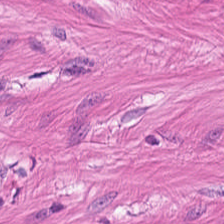Q: What tissue type is shown here?
A: Smooth muscle.
